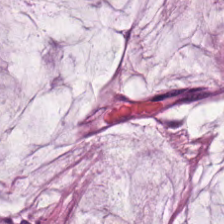H&E-stained tissue section. 20× equivalent magnification. Tissue class = mucus.
